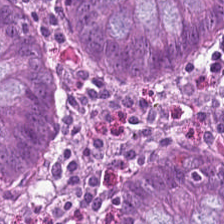H&E stain — Showing normal colon mucosa.
